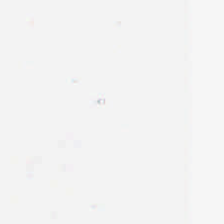Hematoxylin-and-eosin stained section — Content = empty background.
